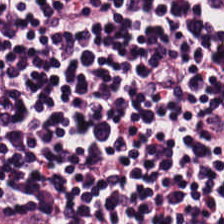Q: What tissue type is shown here?
A: It is lymphocyte aggregate.
